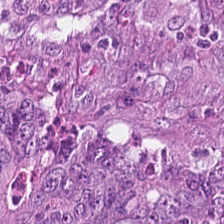FFPE tissue section; hematoxylin-and-eosin stained section — The tissue here is colorectal adenocarcinoma epithelium.
